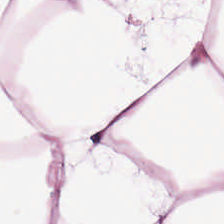Hematoxylin and eosin.
Fat tissue.
